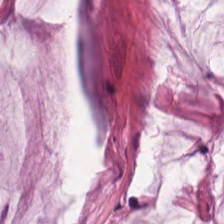Stain: hematoxylin-and-eosin stained section.
Acquisition: brightfield.
Predominant tissue: extracellular mucin.
